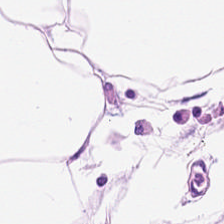H&E stain.
The classification is fat tissue.
